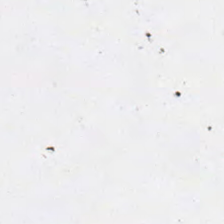Stain: hematoxylin and eosin.
Content: no tissue.
